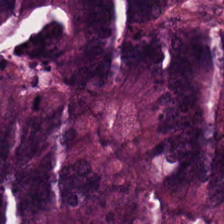H&E stain — Classification — tumor epithelium.
